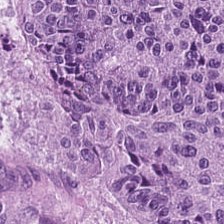Hematoxylin and eosin · FFPE tissue section. {"tissue_type": "colorectal adenocarcinoma"}
